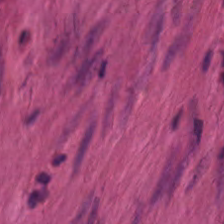Hematoxylin-and-eosin stained section · brightfield microscopy.
Predominant tissue: smooth-muscle tissue.
